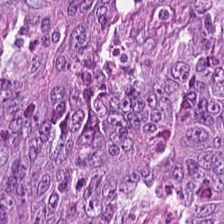Hematoxylin and eosin — The tissue here is adenocarcinoma.
